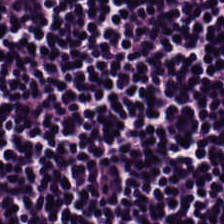Stain: hematoxylin-and-eosin stained section.
Tissue: lymphocytes.
